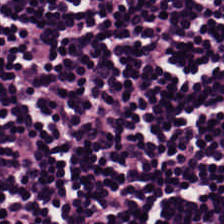Stain: H&E stain.
Tissue type: lymphocytic infiltrate.
